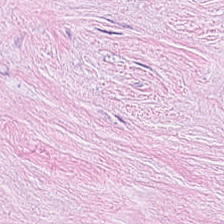Hematoxylin and eosin — This patch shows desmoplastic stroma.
